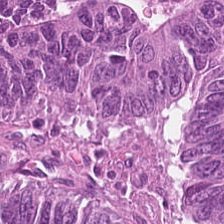Hematoxylin-and-eosin stained section · 224×224 pixel tile.
The predominant tissue is malignant epithelium.
